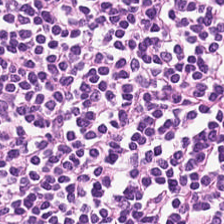Hematoxylin-and-eosin stained section. The classification is lymphoid infiltrate.
